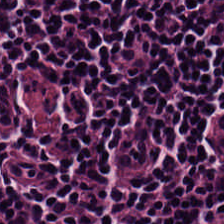H&E.
Classification = lymphoid infiltrate.
